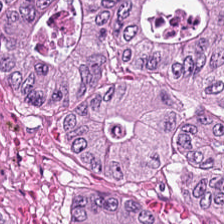Predominantly adenocarcinoma.
